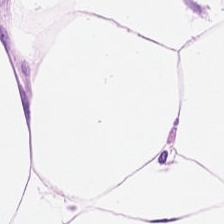H&E — Classification: fat tissue.
